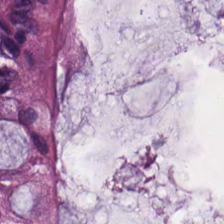Q: What does this patch show?
A: The field shows normal colon mucosa.
